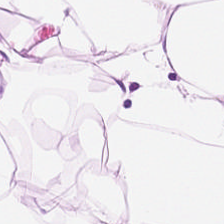{"tissue_type": "adipose tissue"}
